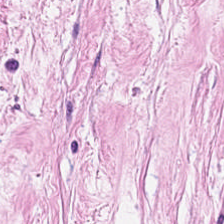WSI patch · 224×224 px patch · H&E-stained tissue section. Q: What is shown here?
A: Tumor-associated stroma.
